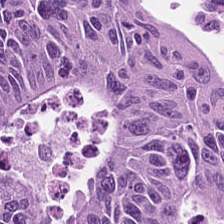Formalin-fixed paraffin-embedded section · hematoxylin and eosin. Adenocarcinoma.
